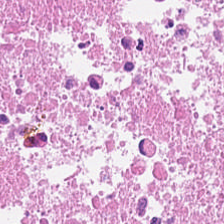Stain: hematoxylin and eosin.
Tissue class: necrotic debris.
